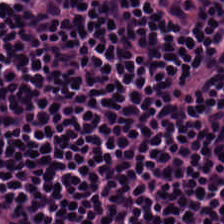Stain: hematoxylin and eosin.
Acquisition: WSI patch.
Tissue class: lymphocytes.
